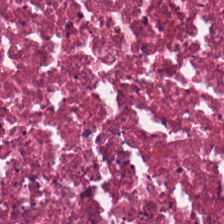Hematoxylin-and-eosin stained section. Debris.
